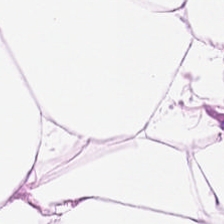H&E stain; formalin-fixed paraffin-embedded section — Showing adipose tissue.
